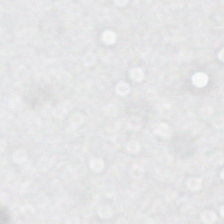Q: What does this patch show?
A: It is empty background.
